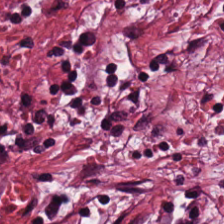Brightfield; 0.5 µm per pixel; hematoxylin and eosin.
{"tissue_type": "desmoplastic stroma"}
